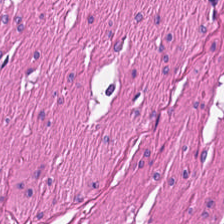H&E — muscularis.
